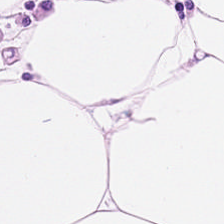224×224 px tile · hematoxylin and eosin · 0.5 µm per pixel — Predominantly adipose tissue.
